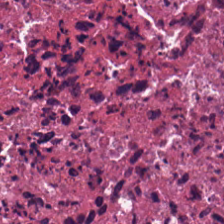224×224 pixel tile · hematoxylin-and-eosin stained section · brightfield microscopy — Tissue = cellular debris.
